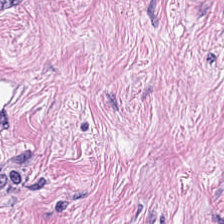Brightfield microscopy · H&E — The tissue here is tumor stroma.
